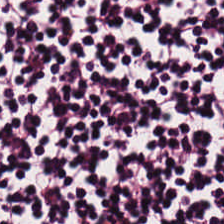Brightfield microscopy. H&E stain. 20× equivalent magnification.
This field is lymphocytes.
